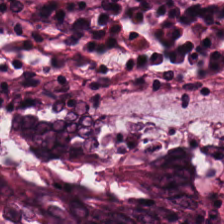The classification is normal colon mucosa.
